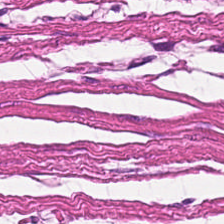H&E patch showing smooth-muscle tissue.
